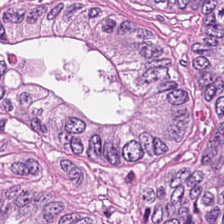Stain: H&E.
Tissue class: tumor epithelium.
